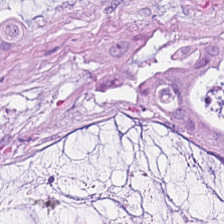224×224 px tile. FFPE. Hematoxylin and eosin.
Predominant tissue = mucus.
